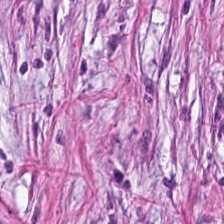H&E. Q: What is shown in this field?
A: It is cancer-associated stroma.
